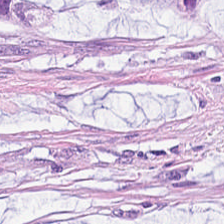FFPE tissue section; hematoxylin and eosin.
The tissue type is mucus.
